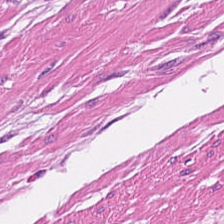Stain: H&E-stained tissue section.
Tile size: 224×224 pixel tile.
Tissue class: smooth-muscle tissue.
